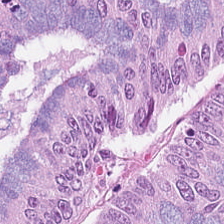H&E-stained tissue section — The classification is colorectal adenocarcinoma epithelium.
